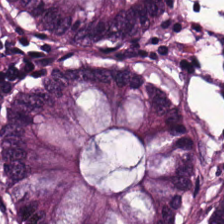FFPE tissue section · hematoxylin-and-eosin stained section · 224×224 pixel tile.
Q: What does this patch show?
A: Normal colonic mucosa.
